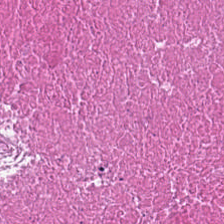H&E · 224×224 px tile · 0.5 µm per pixel.
The tissue is necrotic debris.
